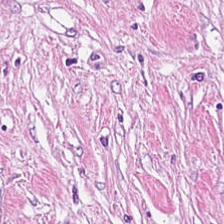224×224 px patch; hematoxylin-and-eosin stained section.
Q: What tissue is shown?
A: This is tumor-associated stroma.
